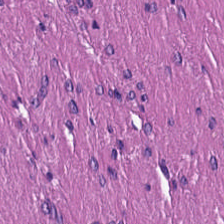FFPE; H&E — Tissue class: smooth-muscle tissue.
